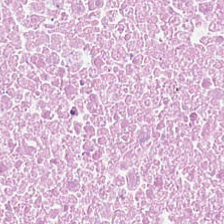Hematoxylin and eosin — This field is cellular debris.
